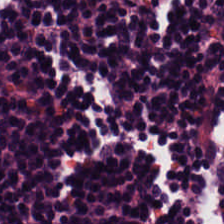Stain: H&E stain.
Predominant tissue: lymphoid infiltrate.
